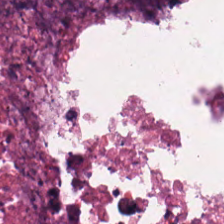{"tissue_type": "necrotic debris"}
